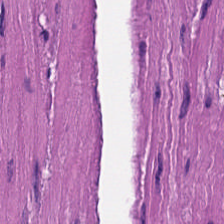H&E — Showing muscularis.
